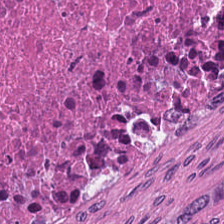{"tissue_type": "cellular debris"}
